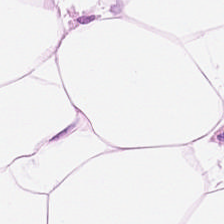Hematoxylin and eosin — The predominant tissue is adipose.
